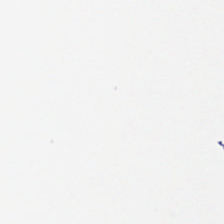WSI patch; H&E.
Q: What is shown here?
A: This is empty background.
